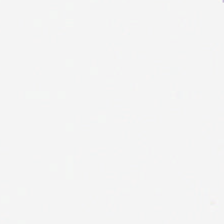H&E-stained tissue section — Classification: background (no tissue).
